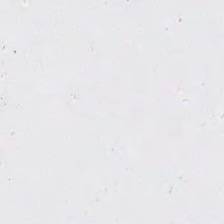Q: What is shown here?
A: This is no tissue.
